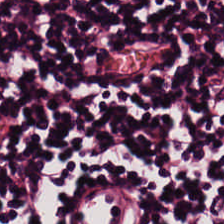FFPE; H&E-stained tissue section — Tissue = lymphocytic infiltrate.
